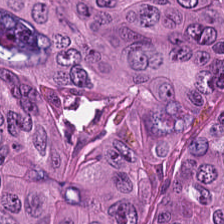Hematoxylin-and-eosin stained section. 224×224 px patch — {"tissue_type": "malignant epithelium"}
